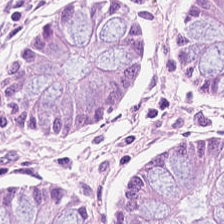H&E stain — Q: What does this patch show?
A: It is normal colonic mucosa.
